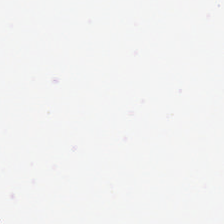224×224 px patch; WSI patch; H&E — Background — no tissue in this field.
